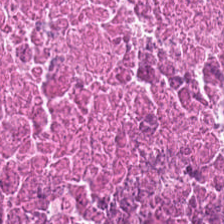{"tissue_type": "debris"}
